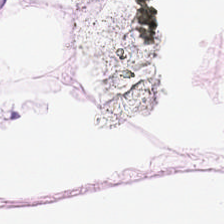H&E. Brightfield. This field is adipocytes.
